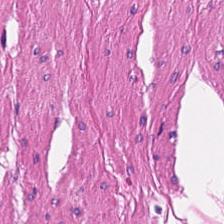Q: Identify the tissue.
A: It is smooth-muscle tissue.
